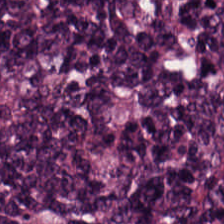FFPE. Hematoxylin and eosin. 20× equivalent magnification.
This field is lymphoid infiltrate.
